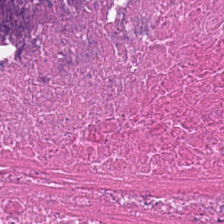Stain: H&E stain.
Classification: necrotic debris.
